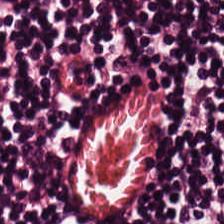Tissue type — lymphocytic infiltrate.
